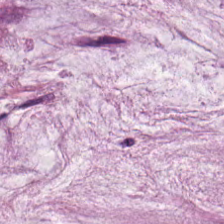H&E stain — This field is mucin.
